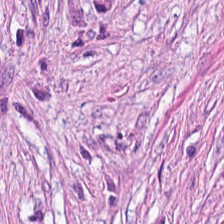H&E stain.
Finding → desmoplastic stroma.
